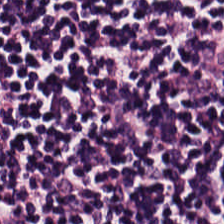H&E stain; 224×224 px patch. Tissue type = lymphoid infiltrate.
